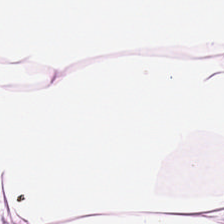WSI patch; 0.5 µm per pixel; H&E.
The tissue class is adipocytes.
